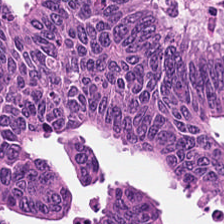Tumor epithelium.
